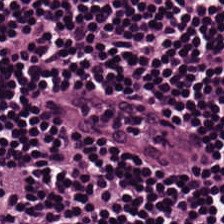Formalin-fixed paraffin-embedded section. 0.5 µm per pixel. Hematoxylin-and-eosin stained section.
The predominant tissue is lymphocytic infiltrate.
